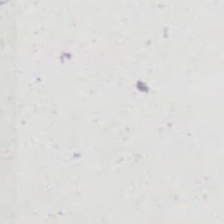Q: What is shown in this field?
A: The field shows background (no tissue).
